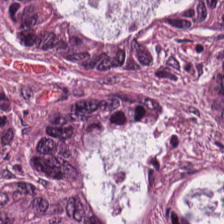Stain: H&E stain.
Tissue: malignant epithelium.
